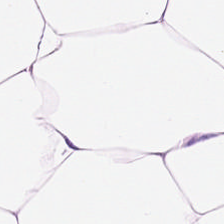Brightfield; 0.5 µm/px; H&E. Tissue class = adipose tissue.
